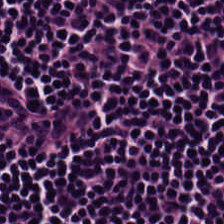Stain: hematoxylin-and-eosin stained section.
Acquisition: WSI patch.
Tile size: 224×224 pixel tile.
Tissue type: lymphoid infiltrate.
